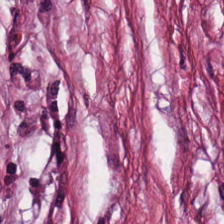H&E; FFPE tissue section. Tissue type = desmoplastic stroma.
